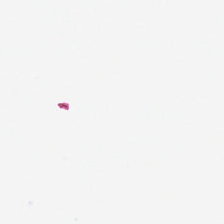H&E stain. No tissue present; background only.
